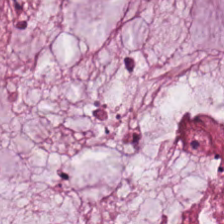H&E.
The tissue here is extracellular mucin.
